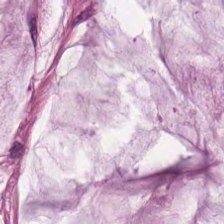H&E.
The predominant tissue is mucus.
